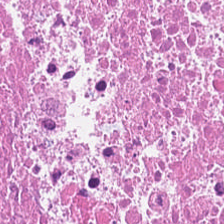H&E-stained tissue section.
Tissue — necrotic debris.
